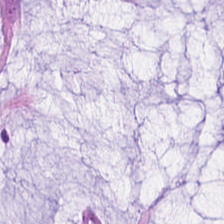Tissue — extracellular mucin.
